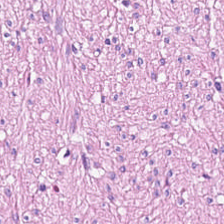{"tissue_type": "smooth-muscle tissue"}
